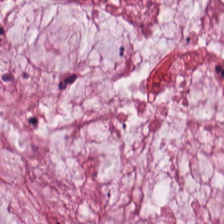H&E stain.
Tissue: mucin.
